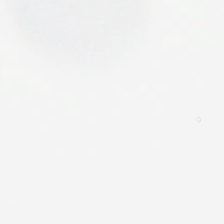H&E; 0.5 µm per pixel. Background — no tissue in this field.
